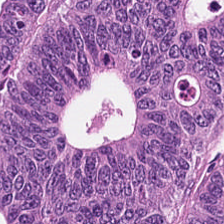224×224 px tile; hematoxylin and eosin — The predominant tissue is malignant epithelium.
